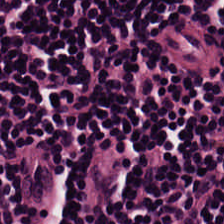FFPE; 224×224 pixel tile; H&E-stained tissue section. {"tissue_type": "lymphocytes"}
